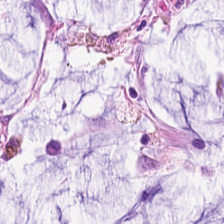WSI patch. H&E stain. 0.5 µm/px. Q: Classify this patch.
A: The field shows mucin.
